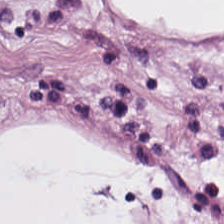Stain: H&E stain.
Acquisition: brightfield microscopy.
Tile size: 224×224 px patch.
Tissue type: fat tissue.
